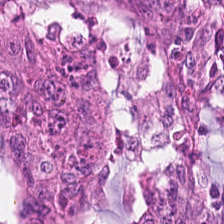Hematoxylin and eosin. The tissue here is tumor epithelium.
